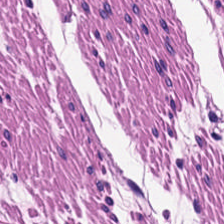Q: Identify the tissue.
A: Smooth-muscle tissue.
